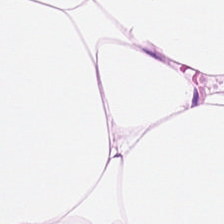Hematoxylin-and-eosin stained section.
Classification = adipose.
